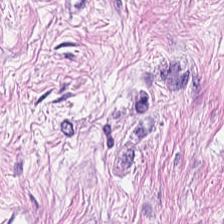Hematoxylin-and-eosin stained section.
The predominant tissue is tumor-associated stroma.
